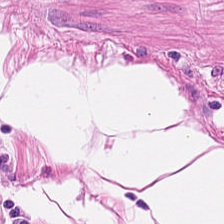H&E — Predominant tissue — smooth-muscle tissue.
